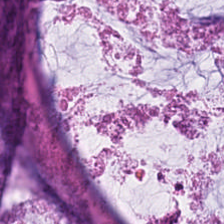H&E stain.
Showing extracellular mucin.
